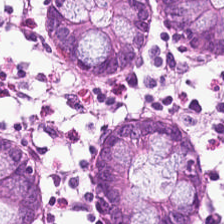Stain: H&E-stained tissue section.
Predominant tissue: normal colonic mucosa.
